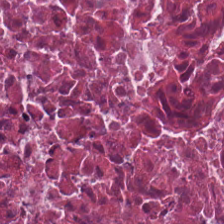0.5 µm/px. Hematoxylin and eosin. Formalin-fixed paraffin-embedded section.
Q: What is the predominant tissue type?
A: This is necrotic debris.
